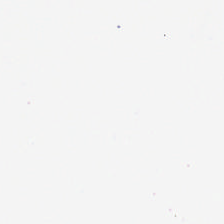Q: What is shown here?
A: This is background.
